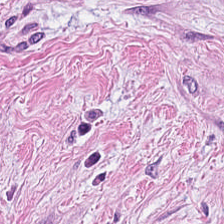H&E stain. The classification is tumor stroma.
